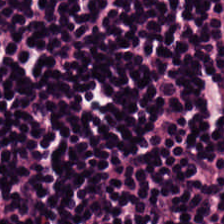FFPE; hematoxylin-and-eosin stained section — {"tissue_type": "lymphocytic infiltrate"}
